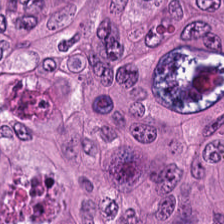H&E stain.
Impression → colorectal adenocarcinoma.
